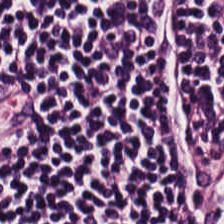Hematoxylin and eosin. Q: What tissue type is shown here?
A: Lymphocyte aggregate.
